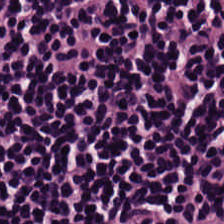Hematoxylin and eosin; formalin-fixed paraffin-embedded section; whole-slide-image patch — The tissue is lymphocytic infiltrate.
